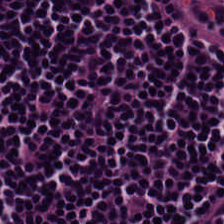H&E-stained tissue section; brightfield.
{"tissue_type": "lymphocytes"}
